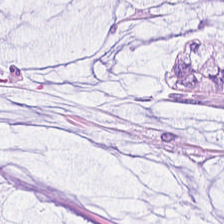WSI patch; H&E stain. Tissue — mucin.
